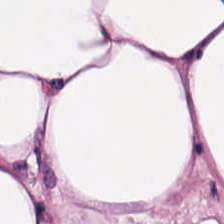FFPE tissue section · H&E stain — Classification = adipocytes.
